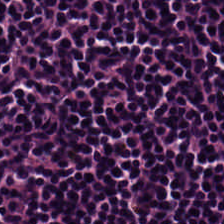FFPE tissue section · hematoxylin and eosin · whole-slide-image patch — Tissue type = lymphocyte aggregate.
